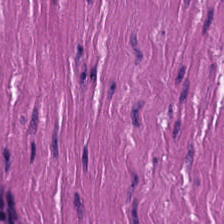Hematoxylin and eosin. Tissue class — smooth muscle.
